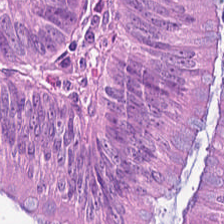224×224 px tile; hematoxylin-and-eosin stained section; whole-slide-image patch — Histology → adenocarcinoma.
